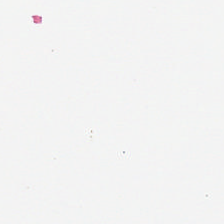Hematoxylin and eosin · formalin-fixed paraffin-embedded section · 224×224 pixel tile. Q: What is shown here?
A: Empty background.
